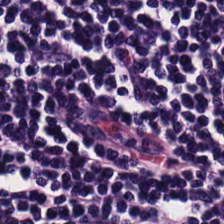H&E. Q: What does this patch show?
A: This is lymphoid infiltrate.
